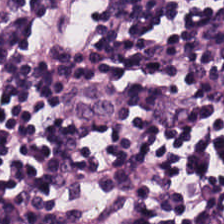Hematoxylin-and-eosin stained section. Q: What is the predominant tissue type?
A: It is lymphoid infiltrate.
